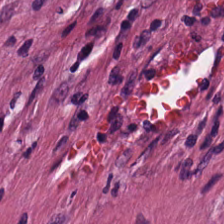Tissue class = desmoplastic stroma.
